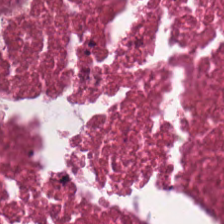FFPE tissue section. H&E. 0.5 microns per pixel — Histology — necrotic debris.
